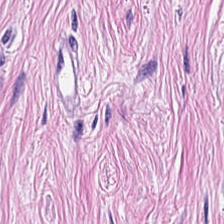Hematoxylin and eosin.
Histology — tumor-associated stroma.
